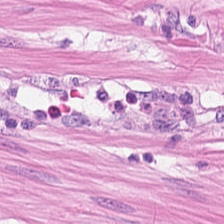Tissue type = smooth-muscle tissue.
